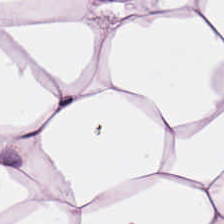The tissue is fat tissue.
